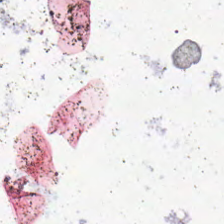{"content": "background"}
